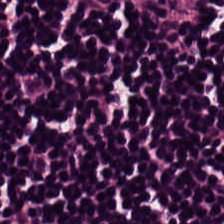Hematoxylin and eosin · 224×224 pixel tile · whole-slide-image patch — Impression → lymphocytes.
